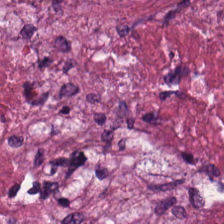H&E stain. Brightfield. Showing necrotic debris.
